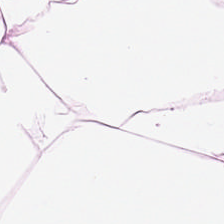The tissue class is adipose tissue.
